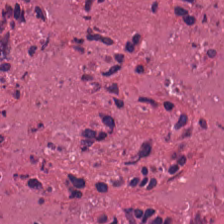Classification = cellular debris.
